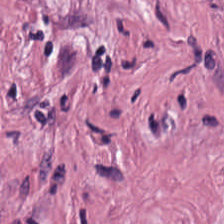Tissue type — desmoplastic stroma.
